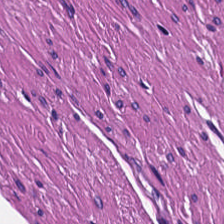H&E patch showing smooth muscle.
